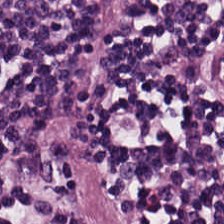FFPE tissue section. H&E.
Classification: lymphocytic infiltrate.
